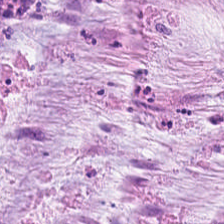Hematoxylin-and-eosin stained section — Tissue class: mucin.
